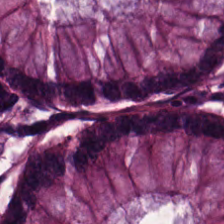H&E stain. Tissue = normal colon mucosa.
